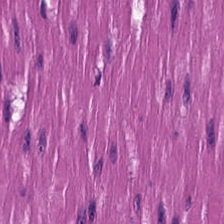H&E. {"tissue_type": "smooth-muscle tissue"}
